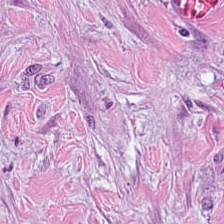H&E.
Desmoplastic stroma.
